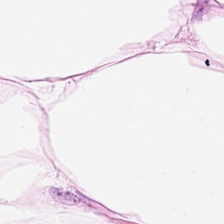Hematoxylin and eosin.
Fat tissue.
